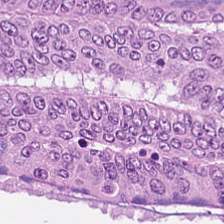Hematoxylin-and-eosin stained section — Q: Classify this patch.
A: Colorectal adenocarcinoma.
